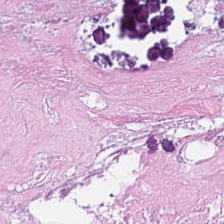H&E — cellular debris.
